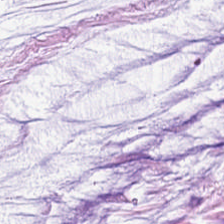Hematoxylin-and-eosin section: extracellular mucin.
